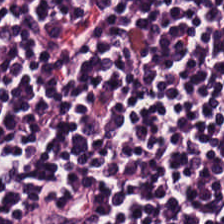Formalin-fixed paraffin-embedded section; hematoxylin-and-eosin stained section — The tissue here is lymphocyte aggregate.
